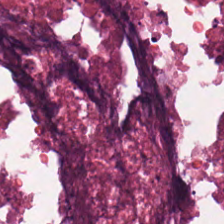H&E — cellular debris.
